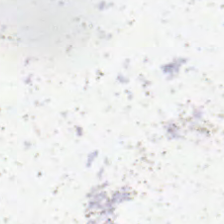Background (no tissue).
